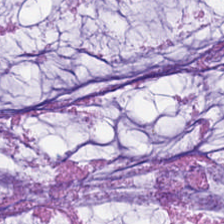Stain: hematoxylin-and-eosin stained section.
Predominant tissue: mucin.
